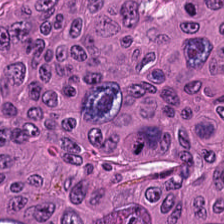Hematoxylin and eosin · formalin-fixed paraffin-embedded section · whole-slide-image patch. Classification — adenocarcinoma.
